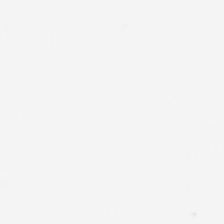Field content — background.
